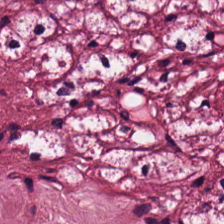Whole-slide-image patch. 20× equivalent magnification. Hematoxylin and eosin — The tissue type is tumor stroma.
